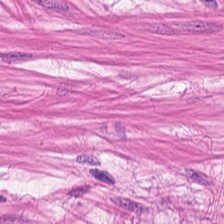Q: What is shown in this field?
A: It is smooth-muscle tissue.
